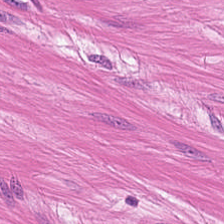224×224 px patch; WSI patch; hematoxylin-and-eosin stained section.
Tissue type = muscularis.
